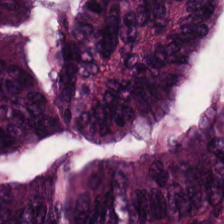Predominantly colorectal adenocarcinoma.
